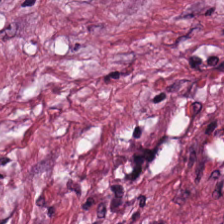Brightfield; H&E — Histology — tumor stroma.
